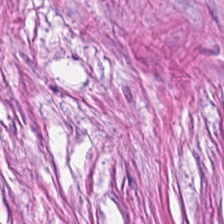H&E — Tissue: desmoplastic stroma.
